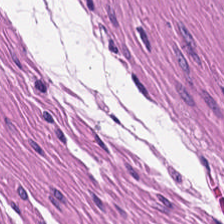H&E-stained tissue section · 224×224 px patch. {"tissue_type": "smooth muscle"}
